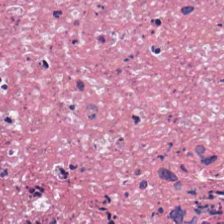Tissue type = debris.
